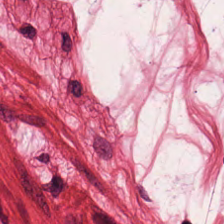H&E-stained tissue section.
Tissue type: smooth-muscle tissue.
